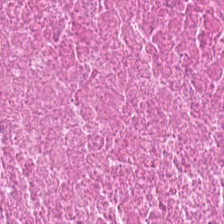Whole-slide-image patch. Hematoxylin-and-eosin stained section.
The predominant tissue is necrotic debris.
